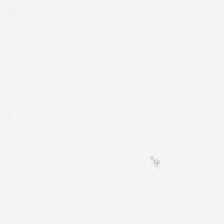Hematoxylin and eosin — Empty field — no tissue.
